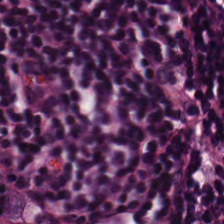Q: What type of tissue is this?
A: It is lymphocytes.
